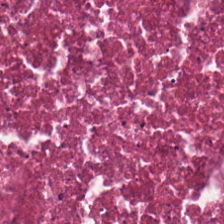Debris.
